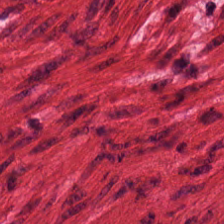H&E stain · formalin-fixed paraffin-embedded section. Tissue type — muscularis.
